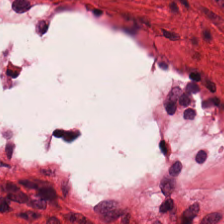Hematoxylin-and-eosin stained section. This patch shows smooth muscle.
